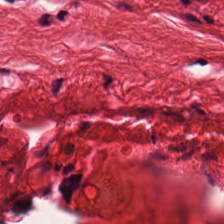224×224 px patch · hematoxylin and eosin. The tissue class is muscularis.
